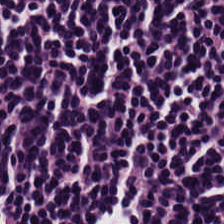H&E-stained section; the field shows lymphocytes.
